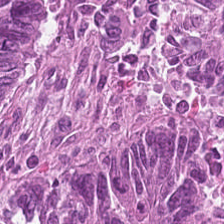Stain: hematoxylin and eosin.
Predominant tissue: colorectal adenocarcinoma epithelium.
